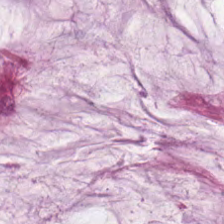H&E — Finding — mucin.
